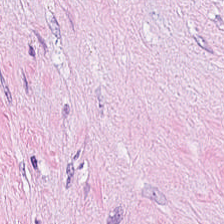H&E-stained tissue section · 0.5 microns per pixel — Q: What is shown in this field?
A: It is desmoplastic stroma.
